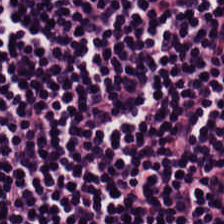Histology — lymphocytes.
